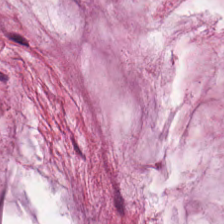H&E. Tissue type: mucin.
